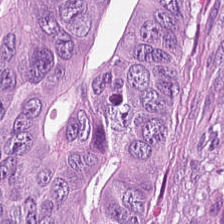0.5 microns per pixel; hematoxylin and eosin. Q: What type of tissue is this?
A: Adenocarcinoma.
